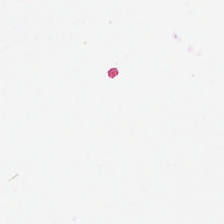20× equivalent magnification; 224×224 px tile; H&E-stained tissue section. This field is background (no tissue).
